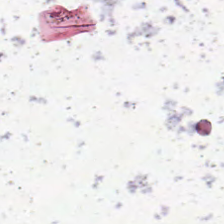Background.
